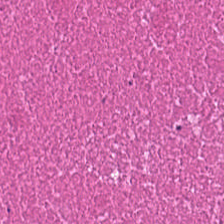224×224 px tile · hematoxylin and eosin. This patch shows necrotic debris.
